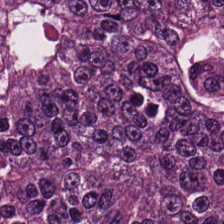Hematoxylin-and-eosin stained section · FFPE tissue section · 224×224 pixel tile.
The predominant tissue is adenocarcinoma.
